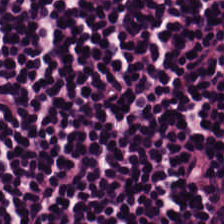Stain: H&E-stained tissue section.
Resolution: 0.5 µm/px.
Preparation: formalin-fixed paraffin-embedded section.
Classification: lymphocytes.
